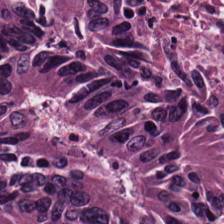H&E stain. This patch shows tumor epithelium.
